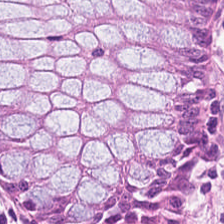H&E stain.
The tissue class is normal colon mucosa.
